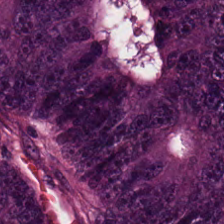224×224 px patch · H&E · FFPE tissue section.
Q: What is the predominant tissue type?
A: This is malignant epithelium.
